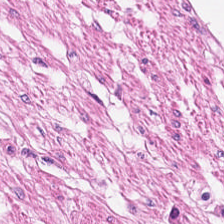Q: What tissue is shown?
A: The field shows smooth-muscle tissue.
